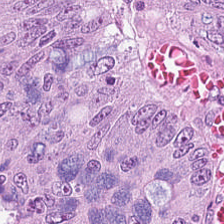H&E; 0.5 µm/px — This field is colorectal adenocarcinoma.
